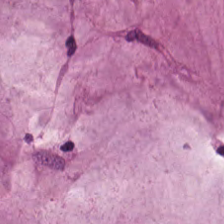Tissue = extracellular mucin.
